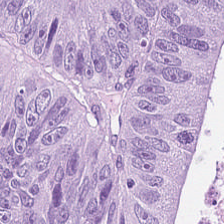H&E stain · 224×224 px tile · FFPE tissue section. This patch shows adenocarcinoma.
